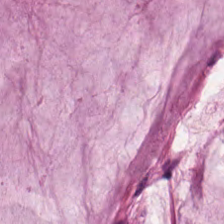Q: Identify the tissue.
A: It is mucus.
